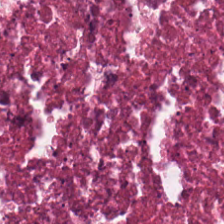WSI patch · H&E. The predominant tissue is debris.
